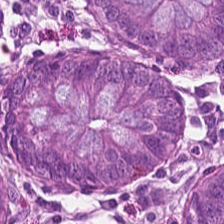Hematoxylin and eosin.
Predominantly normal colonic mucosa.
